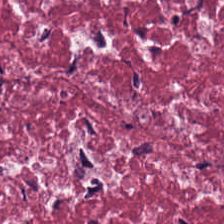H&E — This patch shows tumor-associated stroma.
